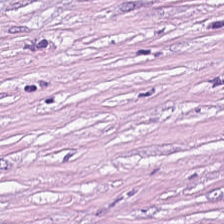H&E. WSI patch. Predominantly tumor-associated stroma.
